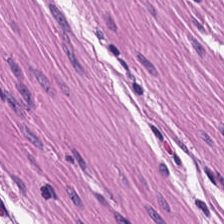Tissue class: muscularis.
